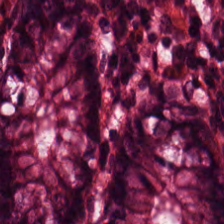Hematoxylin-and-eosin stained section — {"tissue_type": "non-neoplastic colon mucosa"}
